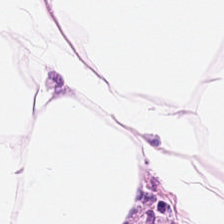Hematoxylin and eosin; brightfield; FFPE. Predominantly adipose.
